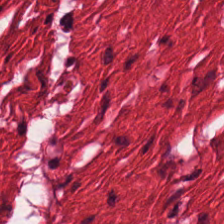0.5 µm per pixel. Hematoxylin-and-eosin stained section — Finding — smooth muscle.
